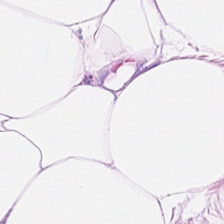FFPE. Hematoxylin-and-eosin stained section.
The tissue is fat tissue.
